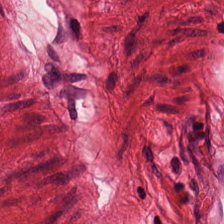H&E.
Q: What is the predominant tissue type?
A: It is smooth-muscle tissue.
